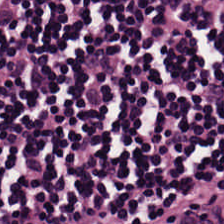H&E.
Tissue type = lymphocytic infiltrate.
